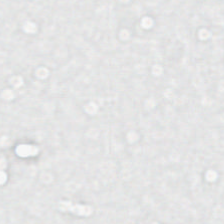Hematoxylin-and-eosin stained section · 224×224 pixel tile.
Impression → background.
